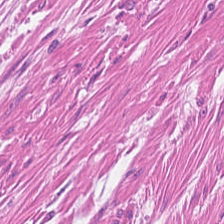H&E patch showing smooth muscle.
